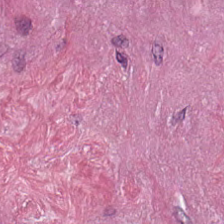FFPE tissue section · H&E-stained tissue section · 224×224 px patch. Finding — cancer-associated stroma.
